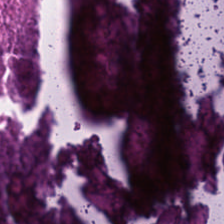H&E. Q: What type of tissue is this?
A: This is debris.
